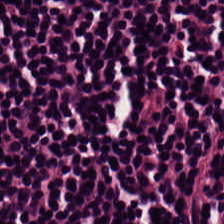H&E-stained tissue section. Predominantly lymphocytes.
